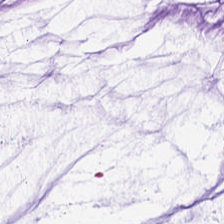H&E-stained tissue section.
This field is extracellular mucin.
